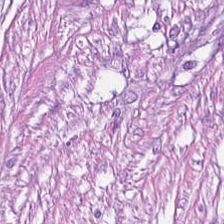H&E — Predominant tissue — tumor-associated stroma.
